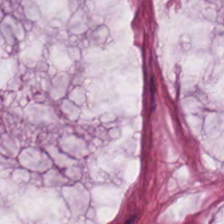Stain: hematoxylin-and-eosin stained section.
Tile size: 224×224 px patch.
Predominant tissue: mucin.
